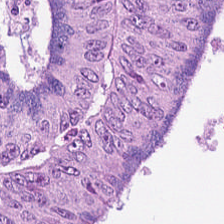H&E stain · brightfield. Impression → colorectal adenocarcinoma.
